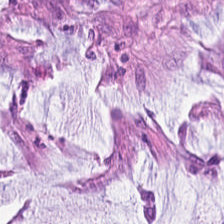224×224 pixel tile · brightfield microscopy · hematoxylin-and-eosin stained section. The tissue here is extracellular mucin.
